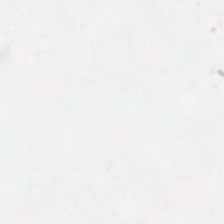Brightfield · 0.5 µm/px · H&E. Classification: no tissue.
